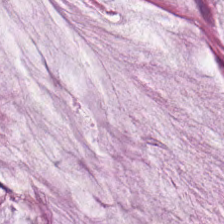H&E stain; formalin-fixed paraffin-embedded section; brightfield microscopy.
Mucin.
